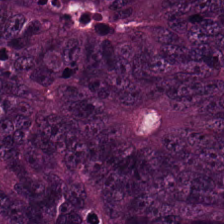Tissue type — adenocarcinoma.
